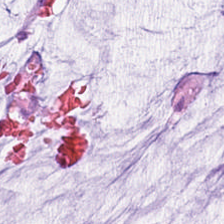224×224 pixel tile. Hematoxylin and eosin.
Q: What type of tissue is this?
A: The field shows extracellular mucin.
